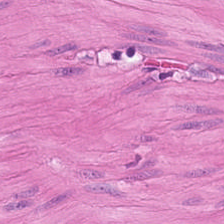Whole-slide-image patch; H&E-stained tissue section; 0.5 µm per pixel.
This patch shows muscularis.
